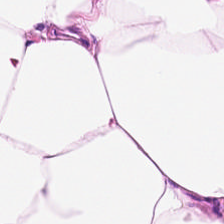H&E-stained tissue section; 0.5 µm/px — Q: What does this patch show?
A: It is adipocytes.
